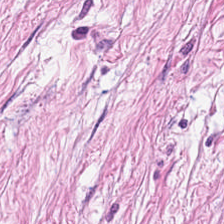H&E · whole-slide-image patch — Showing cancer-associated stroma.
